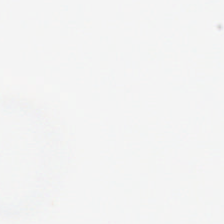This patch shows background (no tissue).
